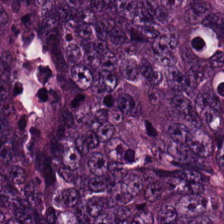H&E. Q: What type of tissue is this?
A: It is malignant epithelium.
